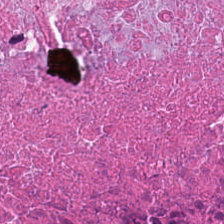FFPE tissue section · hematoxylin-and-eosin stained section · whole-slide-image patch — Cellular debris.
